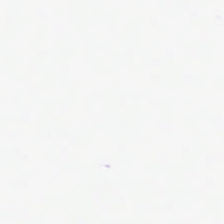Stain: hematoxylin and eosin.
Preparation: FFPE.
Acquisition: brightfield.
Classification: empty background.
